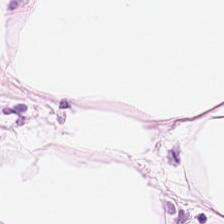Showing adipocytes.
